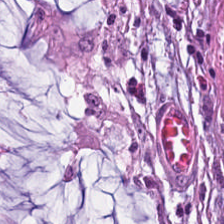{"tissue_type": "mucus"}
